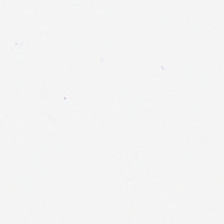Hematoxylin-and-eosin stained section · FFPE.
Q: What does this patch show?
A: The field shows background (no tissue).
